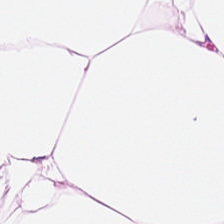H&E patch showing adipose.
